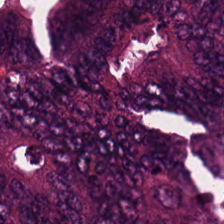Stain: H&E.
Tissue type: adenocarcinoma.
